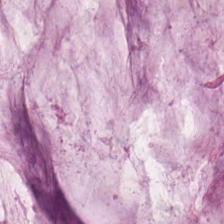H&E-stained tissue section showing extracellular mucin.
